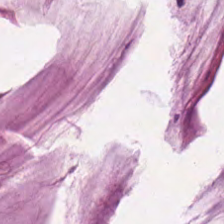0.5 µm/px · H&E.
The tissue type is mucin.
